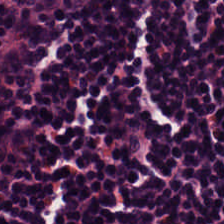H&E stain · 0.5 microns per pixel.
Q: What is the predominant tissue type?
A: It is lymphoid infiltrate.
